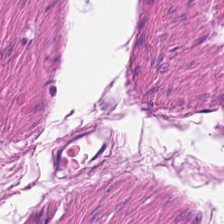Formalin-fixed paraffin-embedded section. H&E stain. Predominant tissue — muscularis.
